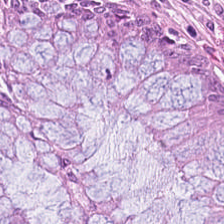H&E-stained tissue section showing benign colonic mucosa.
